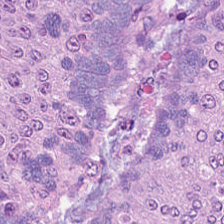H&E-stained tissue section — Predominant tissue = colorectal adenocarcinoma epithelium.
